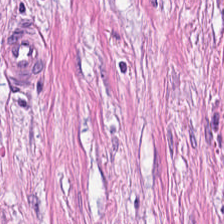H&E stain — Q: What is the predominant tissue type?
A: Cancer-associated stroma.
